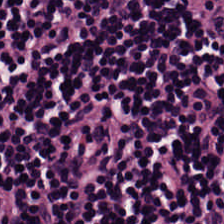H&E stain. Formalin-fixed paraffin-embedded section.
Predominantly lymphocytic infiltrate.
